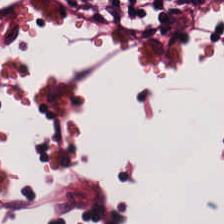Stain: H&E-stained tissue section.
Tissue class: lymphoid infiltrate.
